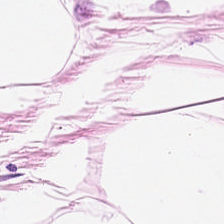Predominantly fat tissue.
